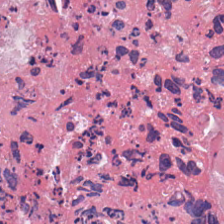H&E-stained tissue section. Predominantly cellular debris.
